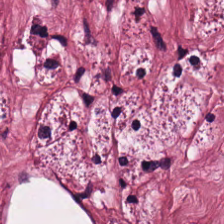Tissue class: cancer-associated stroma.
